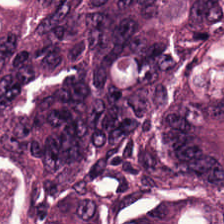H&E-stained tissue section — This patch shows tumor epithelium.
